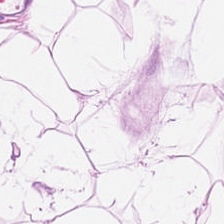Stain: hematoxylin and eosin.
Predominant tissue: adipose.
